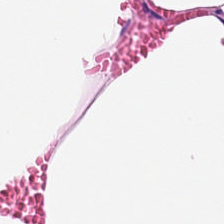Hematoxylin-and-eosin stained section — Tissue type = adipocytes.
